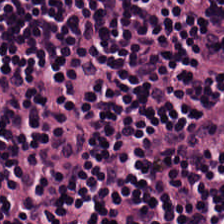Formalin-fixed paraffin-embedded section · 0.5 microns per pixel · hematoxylin-and-eosin stained section. The tissue here is lymphocyte aggregate.
